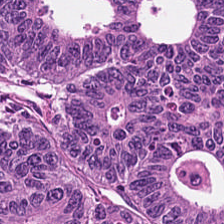H&E stain; 20× equivalent magnification.
Q: What is shown in this field?
A: It is adenocarcinoma.
